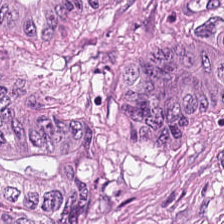Stain: H&E stain.
Tissue: tumor epithelium.
